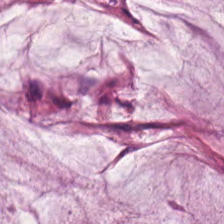Hematoxylin and eosin. Predominant tissue = extracellular mucin.
